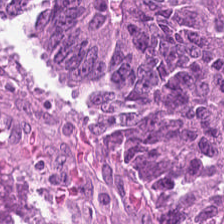0.5 µm/px. FFPE. Hematoxylin-and-eosin stained section — {"tissue_type": "tumor epithelium"}
